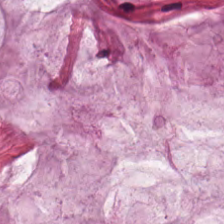Hematoxylin-and-eosin stained section. Classification — extracellular mucin.
